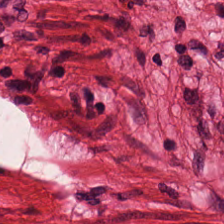H&E stain. Tissue type = muscularis.
